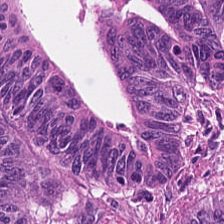0.5 microns per pixel · hematoxylin-and-eosin stained section.
Colorectal adenocarcinoma epithelium.
